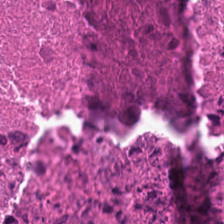H&E · brightfield · FFPE — Classification — necrotic debris.
